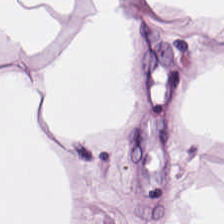H&E-stained tissue section. Q: What is shown here?
A: It is adipocytes.
